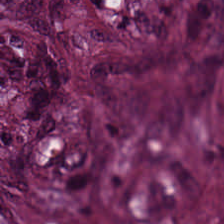H&E stain — Q: What tissue type is shown here?
A: The field shows desmoplastic stroma.
